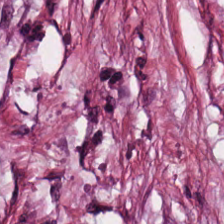H&E stain. 0.5 microns per pixel. Q: What tissue type is shown here?
A: It is tumor-associated stroma.
